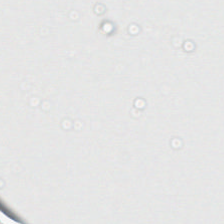WSI patch · H&E-stained tissue section · 224×224 pixel tile. Q: Classify this patch.
A: It is background.
